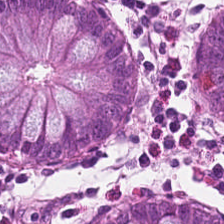Stain: H&E.
Preparation: formalin-fixed paraffin-embedded section.
Tissue: normal colonic mucosa.
